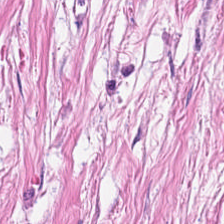H&E — desmoplastic stroma.
